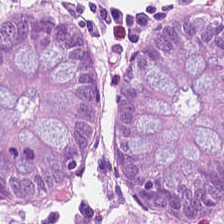H&E. Brightfield. 0.5 µm per pixel.
{"tissue_type": "normal colon mucosa"}
